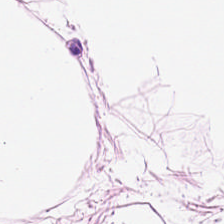H&E stain · FFPE tissue section — Q: What type of tissue is this?
A: The field shows adipose tissue.
